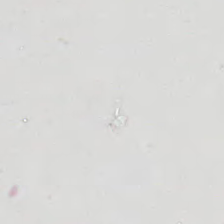Brightfield microscopy. Hematoxylin and eosin. Empty background.
